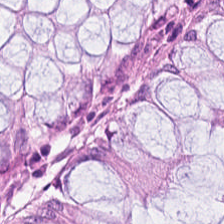Hematoxylin-and-eosin stained section — Predominantly normal colon mucosa.
